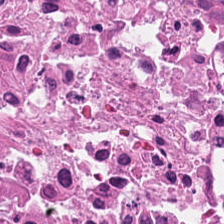Stain: H&E-stained tissue section.
Tissue class: necrotic debris.
